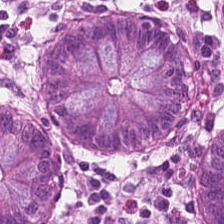Hematoxylin and eosin. Showing normal colon mucosa.
